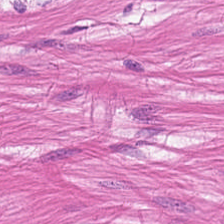H&E-stained tissue section. FFPE tissue section.
Q: Classify this patch.
A: It is smooth muscle.
